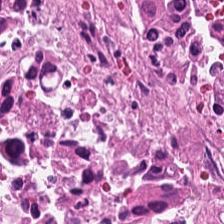H&E stain — Q: What tissue is shown?
A: This is debris.
